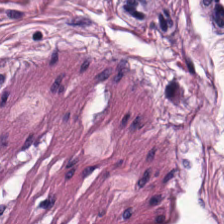H&E-stained tissue section · brightfield.
Smooth-muscle tissue.
